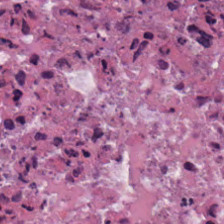The predominant tissue is necrotic debris.
